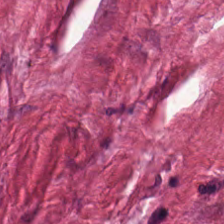Hematoxylin-and-eosin stained section — Q: Identify the tissue.
A: It is cancer-associated stroma.
